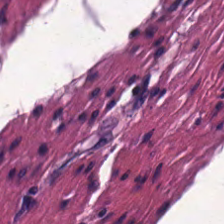H&E-stained tissue section. Formalin-fixed paraffin-embedded section.
Classification — smooth-muscle tissue.
